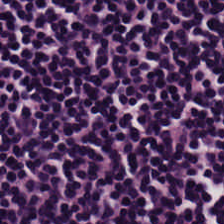Finding — lymphocyte aggregate.
